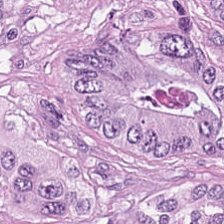Adenocarcinoma.
